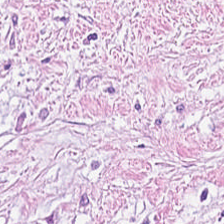20× equivalent magnification · H&E stain — Classification: cancer-associated stroma.
